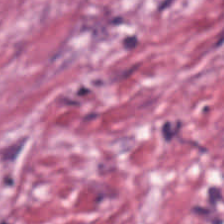Hematoxylin-and-eosin stained section — Classification = tumor stroma.
